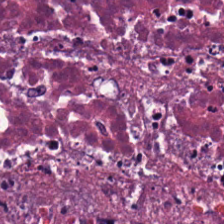Hematoxylin and eosin · brightfield microscopy.
Q: What does this patch show?
A: The field shows debris.
